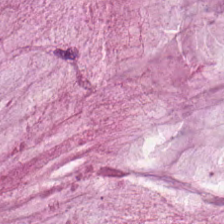Tissue type — mucin.
